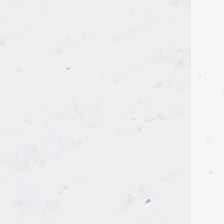H&E-stained tissue section.
Background — no tissue in this field.
